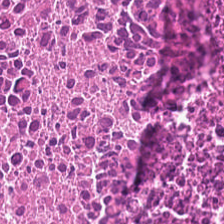Whole-slide-image patch. Hematoxylin-and-eosin stained section — This field is cellular debris.
